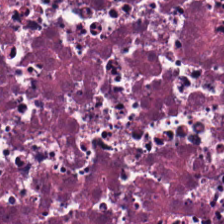H&E stain · 224×224 px tile. The tissue here is necrotic debris.
